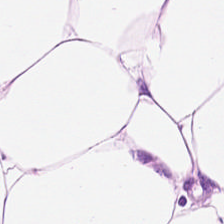Hematoxylin-and-eosin stained section. 224×224 pixel tile. Showing fat tissue.
